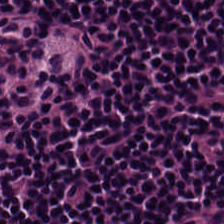Formalin-fixed paraffin-embedded section · H&E-stained tissue section · 0.5 µm per pixel. Q: Classify this patch.
A: It is lymphocytes.
